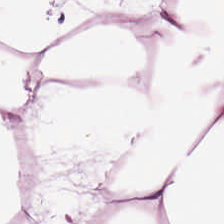Hematoxylin-and-eosin stained section — The predominant tissue is adipocytes.
